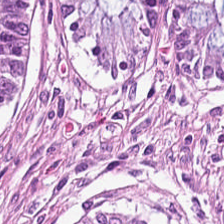Hematoxylin-and-eosin stained section.
{"tissue_type": "benign colonic mucosa"}
